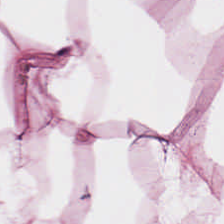20× equivalent magnification. H&E. Showing adipose.
